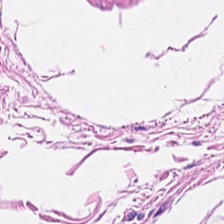The predominant tissue is muscularis.
